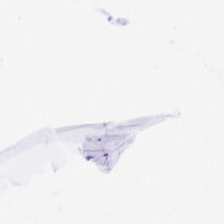H&E-stained tissue section. Field content = background.
